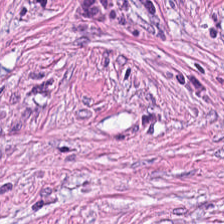This patch shows tumor-associated stroma.
